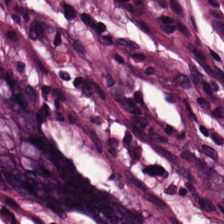Histology — benign colonic mucosa.
